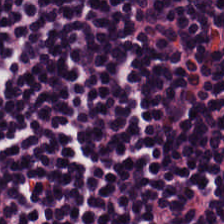Predominantly lymphocyte aggregate.
